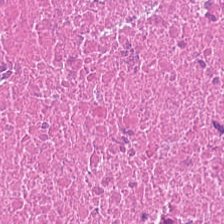H&E — necrotic debris.
